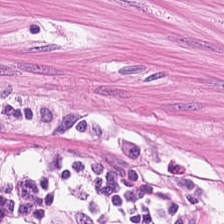Stain: H&E-stained tissue section.
Resolution: 0.5 µm/px.
Tissue type: smooth muscle.
